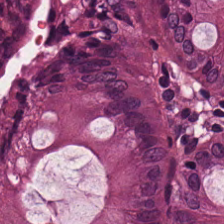Stain: hematoxylin-and-eosin stained section.
Classification: benign colonic mucosa.
